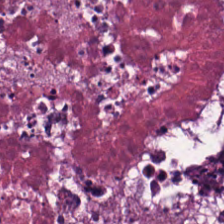{"tissue_type": "cellular debris"}
